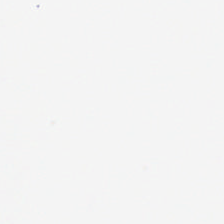Brightfield. Hematoxylin-and-eosin stained section.
Q: What is shown here?
A: No tissue.
